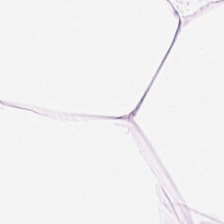H&E-stained tissue section — This patch shows adipose tissue.
